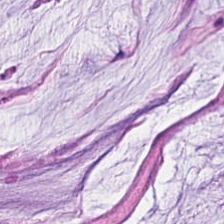Hematoxylin-and-eosin section: mucin.
